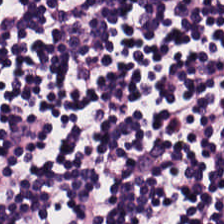0.5 microns per pixel. Hematoxylin-and-eosin stained section. Whole-slide-image patch — This patch shows lymphoid infiltrate.
